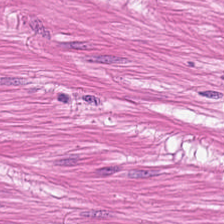Stain: H&E-stained tissue section.
Predominant tissue: muscularis.
